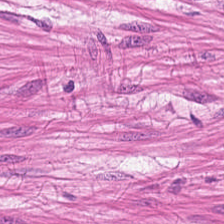224×224 px patch. H&E stain — Tissue type — smooth-muscle tissue.
